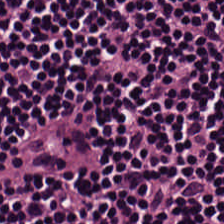H&E stain — Predominant tissue — lymphocyte aggregate.
